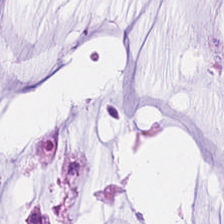Hematoxylin-and-eosin stained section.
Predominantly extracellular mucin.
